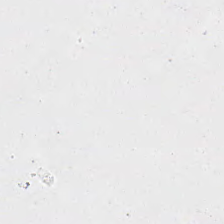WSI patch. 0.5 µm/px. H&E.
The content is empty background.
